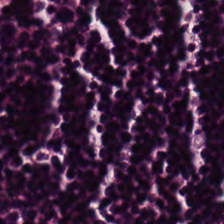Tissue = lymphocytic infiltrate.
